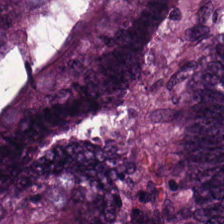H&E patch showing adenocarcinoma.
